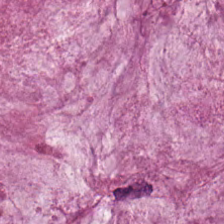H&E stain.
{"tissue_type": "mucus"}
